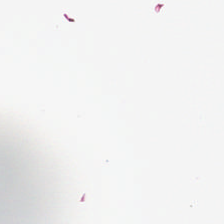0.5 µm/px · whole-slide-image patch · hematoxylin and eosin. Background (no tissue).
